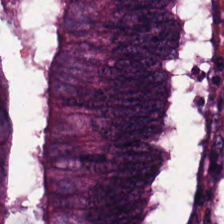H&E-stained section; the field shows adenocarcinoma.
